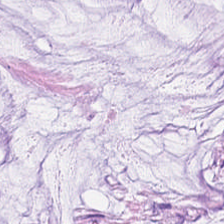Hematoxylin-and-eosin stained section; WSI patch. Tissue type = mucin.
